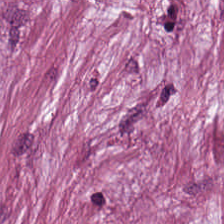H&E stain — Q: What is the predominant tissue type?
A: This is tumor stroma.
